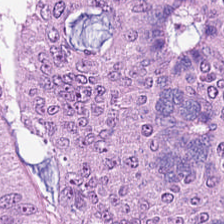H&E-stained tissue section; 0.5 µm per pixel.
Tumor epithelium.
